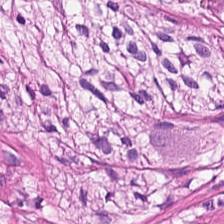Hematoxylin and eosin — The tissue here is muscularis.
